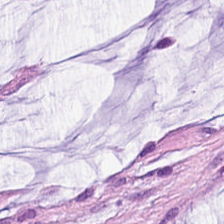This field is mucus.
